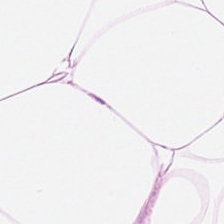20× equivalent magnification; H&E-stained tissue section.
The tissue here is adipose.
